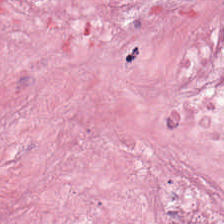Stain: hematoxylin-and-eosin stained section.
Acquisition: brightfield.
Tissue: tumor stroma.
